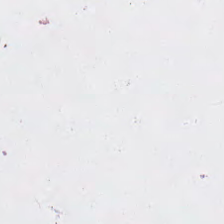Hematoxylin and eosin. Brightfield microscopy — Content: empty background.
